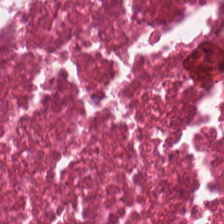Stain: H&E.
Acquisition: whole-slide-image patch.
Resolution: 20× equivalent magnification.
Predominant tissue: cellular debris.
